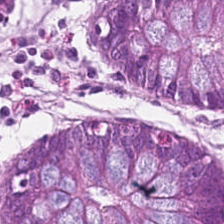H&E stain.
Q: What is shown here?
A: The field shows non-neoplastic colon mucosa.
